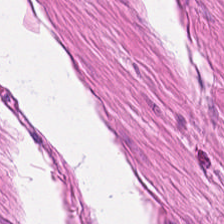Formalin-fixed paraffin-embedded section · hematoxylin-and-eosin stained section. {"tissue_type": "muscularis"}
